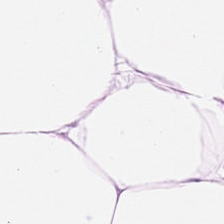Adipocytes.
